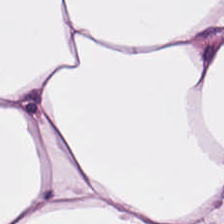Hematoxylin and eosin. 224×224 pixel tile. Impression → adipose.
